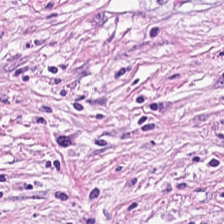0.5 microns per pixel; H&E-stained tissue section.
{"tissue_type": "cancer-associated stroma"}
